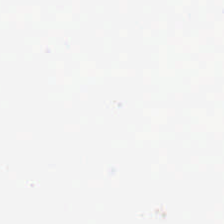H&E — Impression → background (no tissue).
